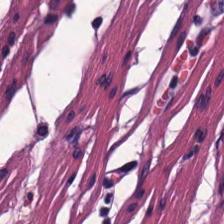H&E.
Classification — muscularis.
